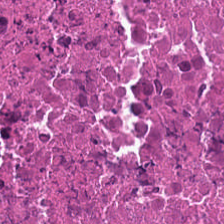H&E-stained tissue section — Q: What is the predominant tissue type?
A: It is cellular debris.
